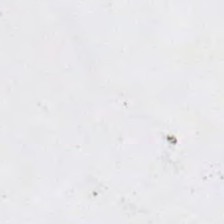H&E-stained tissue section · whole-slide-image patch · 0.5 microns per pixel — No tissue present; background only.
